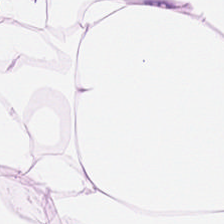The tissue type is adipose.
